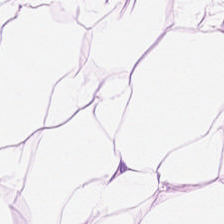H&E stain — Fat tissue.
